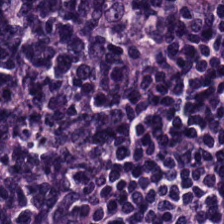H&E. Lymphocyte aggregate.
